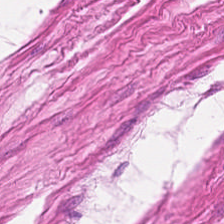H&E-stained tissue section.
Tissue type: smooth-muscle tissue.
